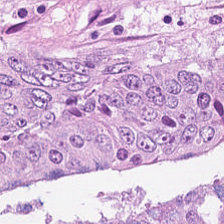Hematoxylin and eosin; 0.5 µm/px. {"tissue_type": "colorectal adenocarcinoma"}
